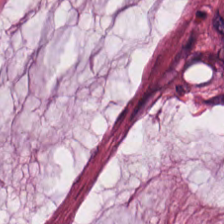H&E. 224×224 px patch.
Q: What tissue is shown?
A: It is mucin.
